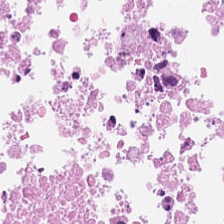Hematoxylin-and-eosin stained section. Tissue type: cellular debris.
